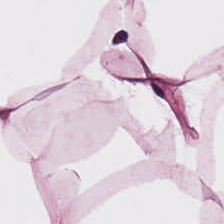FFPE tissue section; H&E-stained tissue section; whole-slide-image patch — Predominantly adipose tissue.
